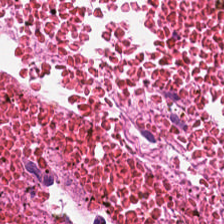FFPE tissue section; hematoxylin-and-eosin stained section.
The predominant tissue is debris.
